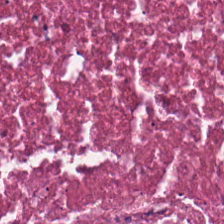Hematoxylin and eosin — {"tissue_type": "necrotic debris"}
